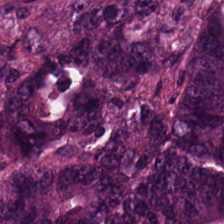H&E-stained tissue section — The tissue type is adenocarcinoma.
